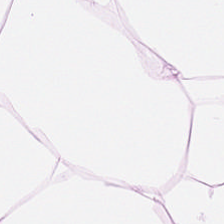H&E — Tissue = adipose.
